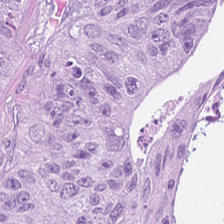Q: What is shown here?
A: The field shows tumor epithelium.
